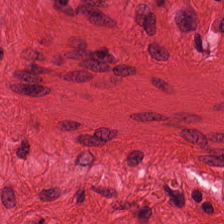Stain: H&E.
Tissue: smooth-muscle tissue.
